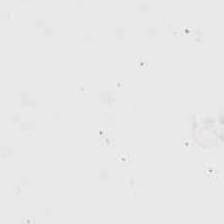No tissue present; background only.
